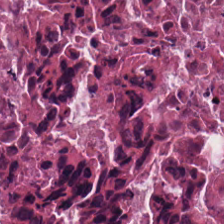Q: What is shown here?
A: It is cellular debris.
